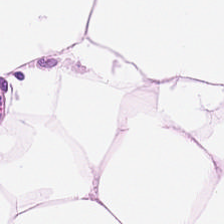The tissue here is adipocytes.
